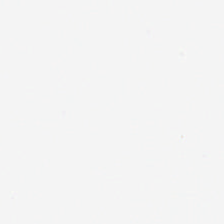H&E.
Empty field — background (no tissue).
